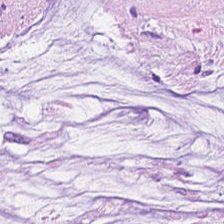H&E-stained tissue section. The tissue here is extracellular mucin.
